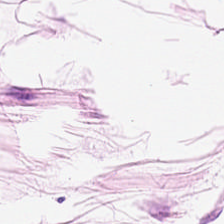Hematoxylin-and-eosin stained section — Classification — adipose.
